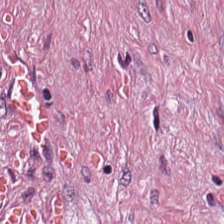Stain: H&E stain.
Classification: cancer-associated stroma.
